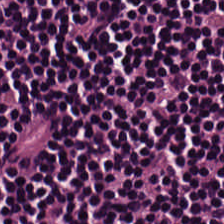H&E-stained tissue section; 0.5 microns per pixel. This patch shows lymphocyte aggregate.
